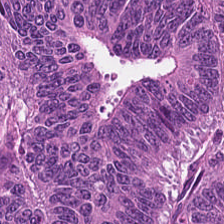Impression — tumor epithelium.
